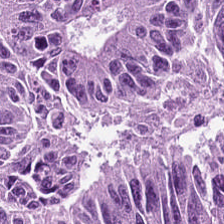H&E. Formalin-fixed paraffin-embedded section — This field is tumor epithelium.
